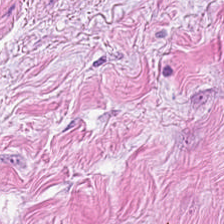H&E stain. 20× equivalent magnification — Finding — desmoplastic stroma.
